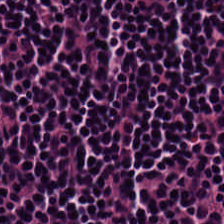H&E-stained tissue section · 224×224 px patch.
Q: What tissue type is shown here?
A: Lymphocytic infiltrate.
